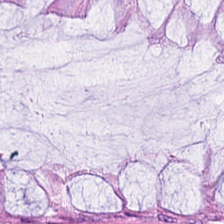H&E-stained tissue section · 20× equivalent magnification. This field is normal colonic mucosa.
